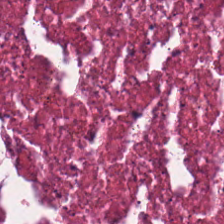H&E; formalin-fixed paraffin-embedded section.
The tissue class is necrotic debris.
